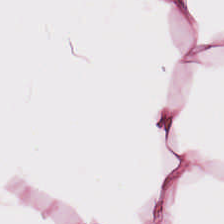H&E patch showing fat tissue.
